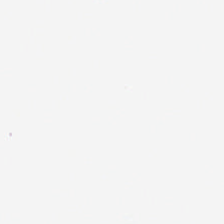0.5 µm/px · hematoxylin-and-eosin stained section · brightfield microscopy.
The classification is background (no tissue).
